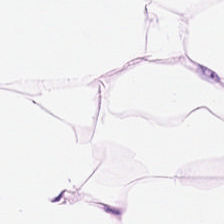Predominantly adipose tissue.
